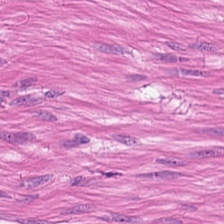H&E-stained tissue section. The tissue type is smooth muscle.
